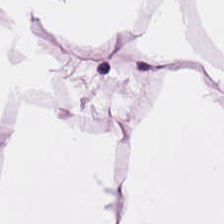Hematoxylin-and-eosin stained section — The predominant tissue is adipocytes.
